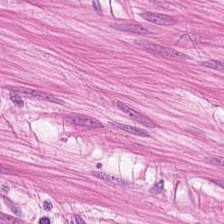Stain: H&E.
Tissue class: smooth muscle.
